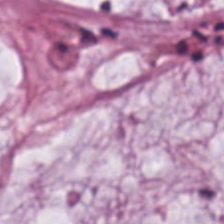H&E · 0.5 µm/px — This field is mucus.
